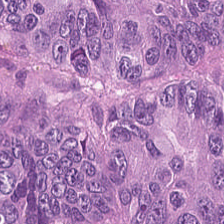This field is colorectal adenocarcinoma epithelium.
